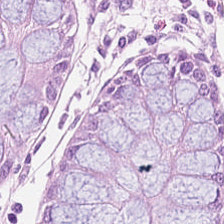Hematoxylin-and-eosin stained section. The tissue type is normal colonic mucosa.
